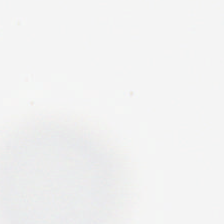H&E-stained tissue section.
This field is background (no tissue).
